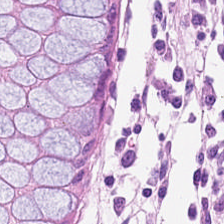Hematoxylin-and-eosin stained section.
Q: What does this patch show?
A: It is normal colon mucosa.
